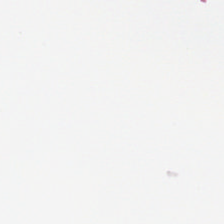This patch shows no tissue.
